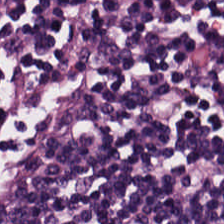Hematoxylin and eosin. FFPE tissue section. Tissue — lymphocytic infiltrate.
